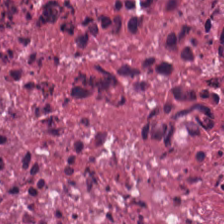Hematoxylin-and-eosin stained section — Finding → necrotic debris.
